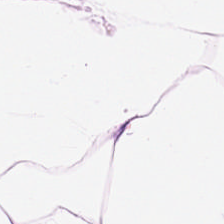Tissue type: fat tissue.
